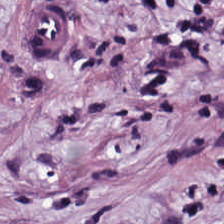Stain: H&E-stained tissue section.
Predominant tissue: tumor-associated stroma.
